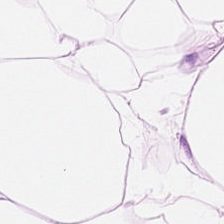FFPE · hematoxylin-and-eosin stained section.
Adipose.
